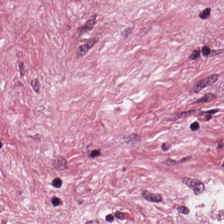Hematoxylin-and-eosin stained section. 224×224 pixel tile. 20× equivalent magnification — Finding — cancer-associated stroma.
